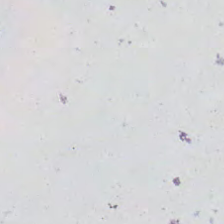H&E.
Histology → background (no tissue).
